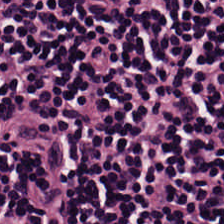Stain: hematoxylin and eosin.
Predominant tissue: lymphocytes.
